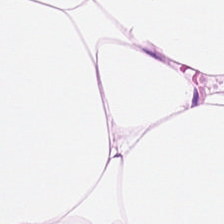224×224 pixel tile. Hematoxylin-and-eosin stained section. This patch shows adipocytes.
